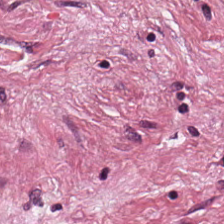Tissue type: tumor-associated stroma.
